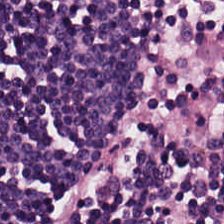H&E. 0.5 microns per pixel. Q: What does this patch show?
A: Lymphocyte aggregate.
